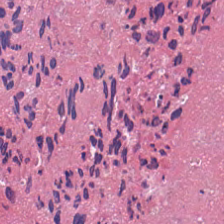Histology — cellular debris.
